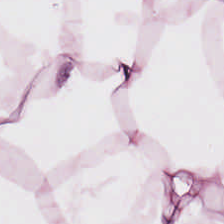Stain: hematoxylin-and-eosin stained section.
Tissue class: fat tissue.
